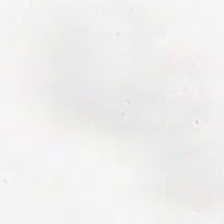FFPE. H&E-stained tissue section.
No tissue present; background only.
